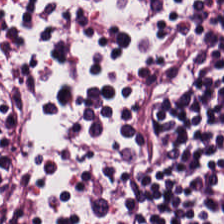H&E-stained tissue section — Predominant tissue = lymphoid infiltrate.
